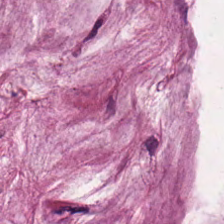Stain: hematoxylin and eosin.
Tile size: 224×224 px patch.
Preparation: FFPE tissue section.
Predominant tissue: mucin.
